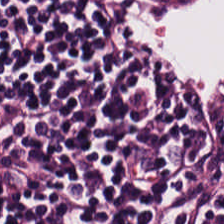Stain: H&E stain.
Tile size: 224×224 px tile.
Predominant tissue: lymphoid infiltrate.
